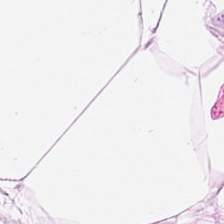H&E stain — Q: What does this patch show?
A: It is adipose tissue.
